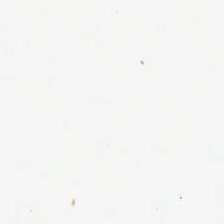Histology — background.
